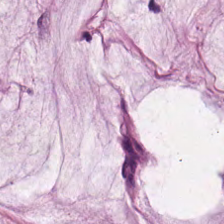Hematoxylin-and-eosin stained section. The tissue class is mucin.
